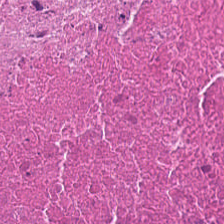Histology — necrotic debris.
